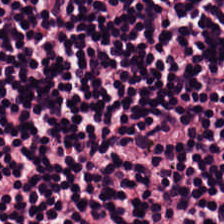H&E; whole-slide-image patch.
Tissue class: lymphocytes.
